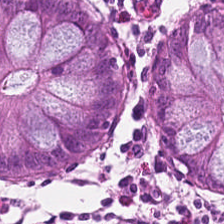H&E.
The predominant tissue is benign colonic mucosa.
